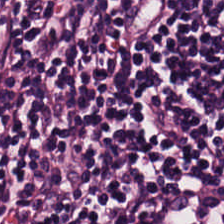0.5 microns per pixel · H&E-stained tissue section · formalin-fixed paraffin-embedded section. Q: What is the predominant tissue type?
A: Lymphocytic infiltrate.
